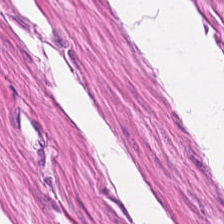Showing muscularis.
